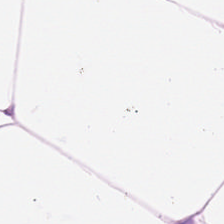Hematoxylin-and-eosin stained section — Tissue: adipocytes.
